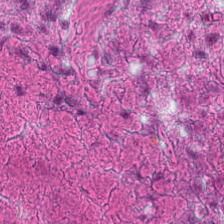Stain: hematoxylin-and-eosin stained section.
Preparation: FFPE.
Tissue: necrotic debris.
